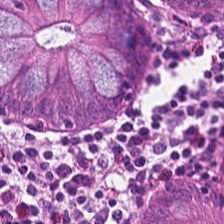H&E patch showing non-neoplastic colon mucosa.
